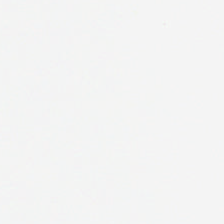Background — no tissue in this field.
